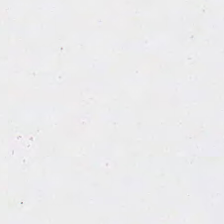Hematoxylin and eosin.
Finding → empty background.
